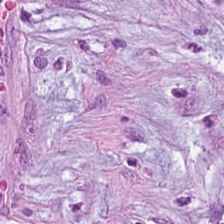Q: What type of tissue is this?
A: This is tumor-associated stroma.
